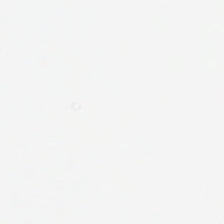0.5 µm/px; FFPE tissue section; H&E — Classification: background.
